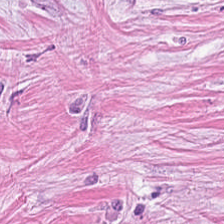H&E.
Histology → tumor stroma.
